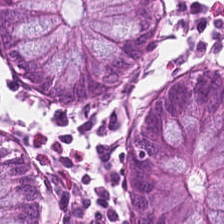H&E stain.
{"tissue_type": "normal colon mucosa"}
